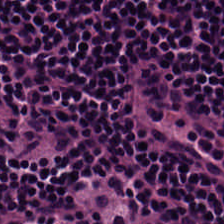Stain: hematoxylin and eosin.
Tissue class: lymphocytes.
